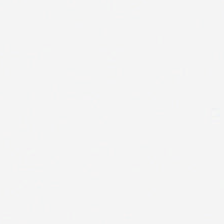Q: What does this patch show?
A: This is background (no tissue).
